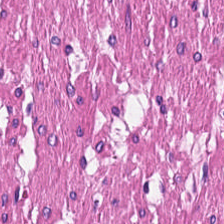Stain: H&E-stained tissue section.
Resolution: 0.5 µm/px.
Tissue class: muscularis.
